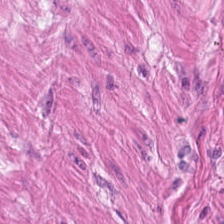H&E-stained section; the field shows smooth-muscle tissue.
